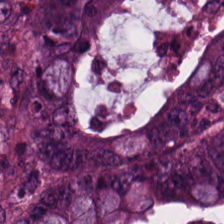0.5 µm per pixel · H&E stain. Tissue type — colorectal adenocarcinoma.
